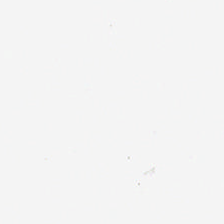H&E — This patch shows empty background.
